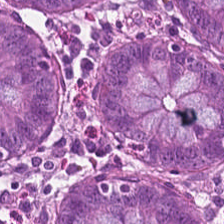Stain: H&E.
Predominant tissue: benign colonic mucosa.
